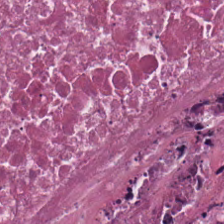Stain: H&E stain.
Predominant tissue: necrotic debris.
